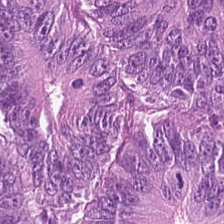The predominant tissue is malignant epithelium.
